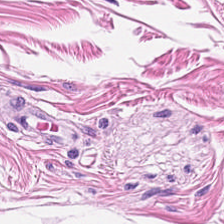Hematoxylin and eosin · 224×224 px tile. Q: What type of tissue is this?
A: This is smooth-muscle tissue.
